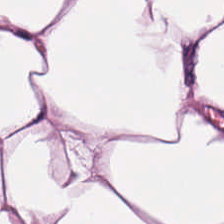Whole-slide-image patch. Hematoxylin and eosin. 224×224 px patch — The tissue here is adipose.
